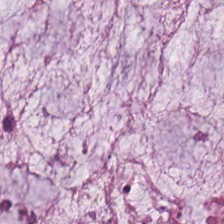20× equivalent magnification. Hematoxylin-and-eosin stained section — Q: What is shown here?
A: This is mucus.
